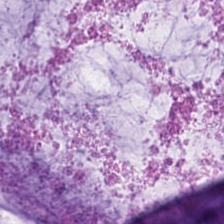Q: What is shown here?
A: The field shows extracellular mucin.
